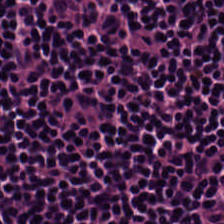H&E-stained tissue section — Tissue class — lymphoid infiltrate.
